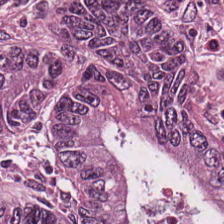FFPE tissue section · hematoxylin and eosin · 224×224 px tile.
{"tissue_type": "colorectal adenocarcinoma"}
